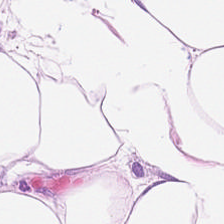{"tissue_type": "fat tissue"}
